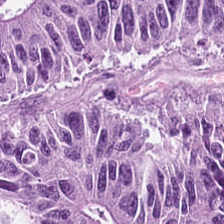Stain: H&E-stained tissue section.
Predominant tissue: tumor epithelium.
